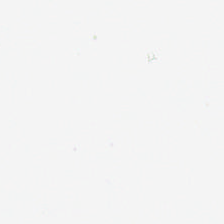H&E-stained tissue section.
Classification = background (no tissue).
